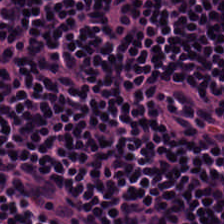H&E · 224×224 px tile.
Tissue = lymphoid infiltrate.
